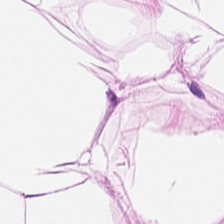Hematoxylin-and-eosin stained section · 224×224 px patch. Predominantly adipose.
